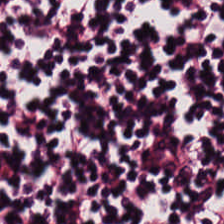Hematoxylin and eosin. Predominantly lymphocytes.
